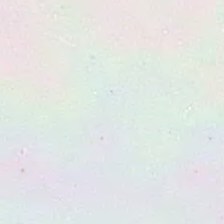Stain: H&E.
Content: background (no tissue).
